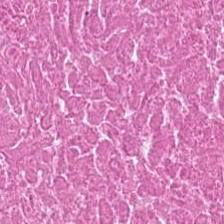H&E-stained tissue section; formalin-fixed paraffin-embedded section. Impression — cellular debris.
